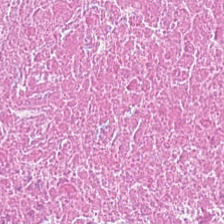Formalin-fixed paraffin-embedded section; H&E-stained tissue section; 224×224 px tile. Tissue type: necrotic debris.
